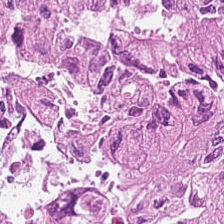H&E-stained tissue section; 224×224 pixel tile.
The predominant tissue is malignant epithelium.
